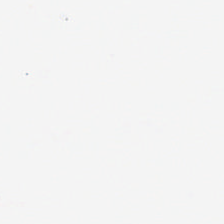Hematoxylin and eosin. Empty field — background.
